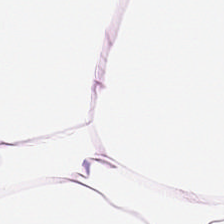Stain: hematoxylin and eosin.
Tissue class: fat tissue.
